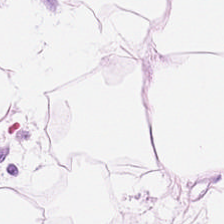Hematoxylin and eosin; FFPE tissue section; 224×224 px tile. Classification: fat tissue.
